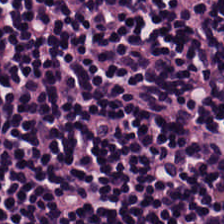H&E-stained tissue section. 224×224 px tile. 0.5 µm per pixel. Lymphocyte aggregate.
